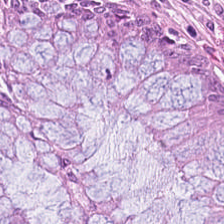Hematoxylin and eosin. Classification — normal colon mucosa.
